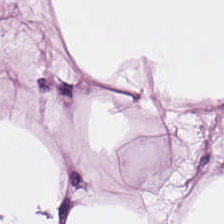H&E.
Impression → adipocytes.
